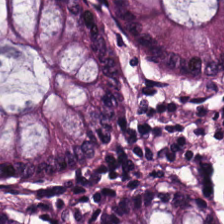Hematoxylin and eosin. 20× equivalent magnification. Showing non-neoplastic colon mucosa.
